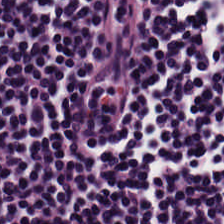Stain: H&E stain.
Predominant tissue: lymphocyte aggregate.
